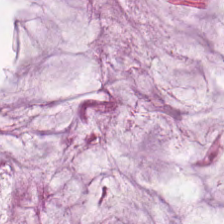Tissue type = extracellular mucin.
